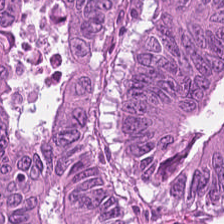H&E stain — Tissue type = tumor epithelium.
